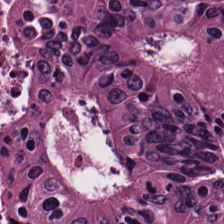FFPE. 0.5 microns per pixel. Hematoxylin and eosin.
Impression → colorectal adenocarcinoma.
